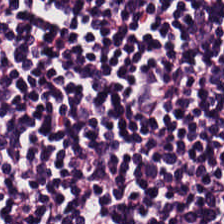H&E-stained tissue section. Q: What is shown in this field?
A: This is lymphocytic infiltrate.
